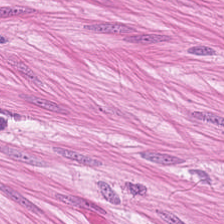Q: Classify this patch.
A: The field shows smooth muscle.
